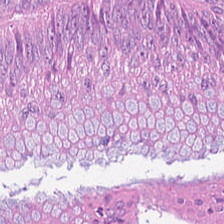This field is malignant epithelium.
